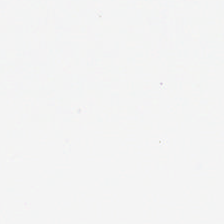H&E-stained tissue section — Q: What is shown here?
A: The field shows background (no tissue).
